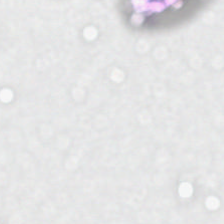Q: What does this patch show?
A: It is background.
